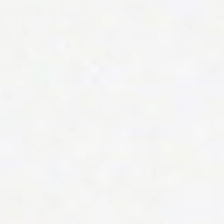H&E. Finding → background (no tissue).
